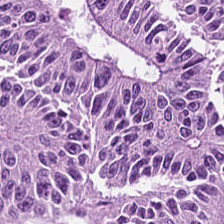The tissue is colorectal adenocarcinoma epithelium.
